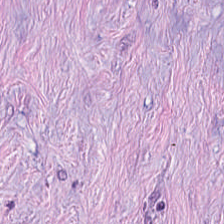Hematoxylin and eosin. Q: What does this patch show?
A: Tumor stroma.
